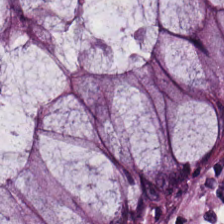Stain: H&E stain.
Resolution: 0.5 microns per pixel.
Tissue class: normal colonic mucosa.
